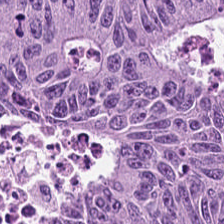Hematoxylin-and-eosin stained section — Q: What tissue type is shown here?
A: Colorectal adenocarcinoma.
